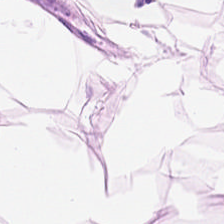Hematoxylin-and-eosin stained section — Predominant tissue — adipose tissue.
